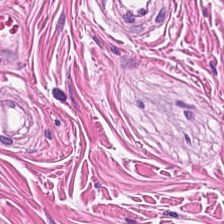Q: What is shown in this field?
A: It is smooth-muscle tissue.
